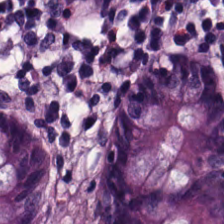The predominant tissue is normal colon mucosa.
